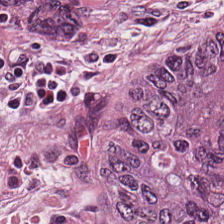0.5 microns per pixel. Hematoxylin-and-eosin stained section — Impression → adenocarcinoma.
